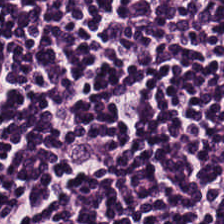H&E stain — Q: What is shown in this field?
A: It is lymphocyte aggregate.
